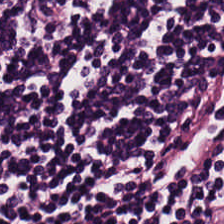H&E. Formalin-fixed paraffin-embedded section. Whole-slide-image patch. Predominantly lymphocyte aggregate.
